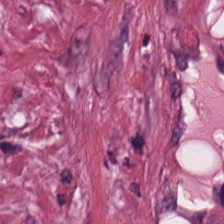Predominantly tumor-associated stroma.
